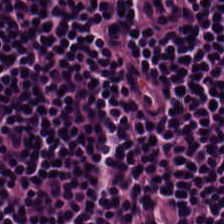Whole-slide-image patch. H&E stain. This patch shows lymphocytic infiltrate.
